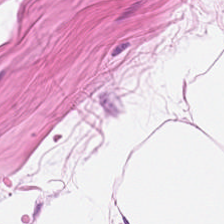Hematoxylin-and-eosin stained section — Adipocytes.
